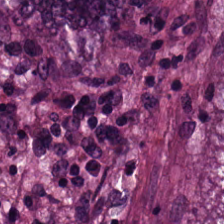Hematoxylin and eosin. Showing malignant epithelium.
